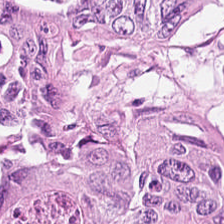H&E — The tissue here is malignant epithelium.
